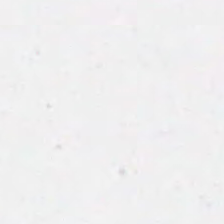H&E-stained tissue section — Content: background.
